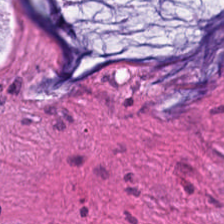The tissue type is mucus.
